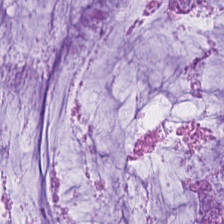H&E-stained tissue section showing mucin.
